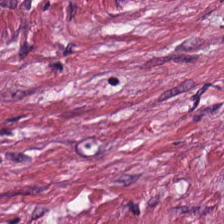H&E. Cancer-associated stroma.
